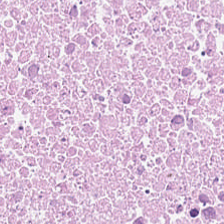Hematoxylin-and-eosin stained section · brightfield · formalin-fixed paraffin-embedded section.
Necrotic debris.
